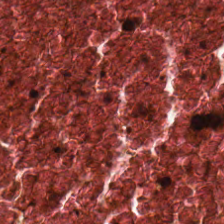Hematoxylin and eosin.
This field is cellular debris.
